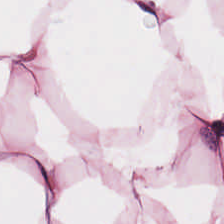The tissue here is adipocytes.
